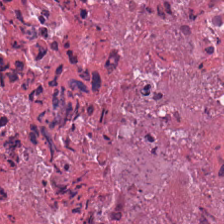Hematoxylin and eosin. Predominant tissue — cellular debris.
